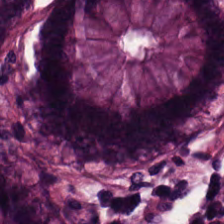H&E-stained tissue section; FFPE tissue section; WSI patch. This patch shows normal colonic mucosa.
